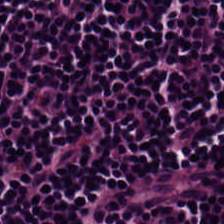Stain: H&E stain.
Tissue type: lymphocyte aggregate.
